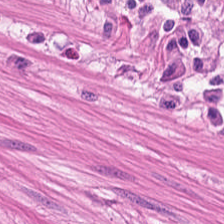Q: What is the predominant tissue type?
A: It is smooth muscle.
